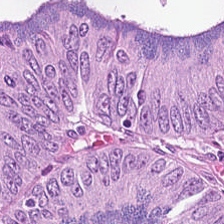Predominant tissue — colorectal adenocarcinoma.
